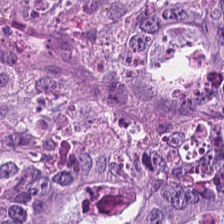Stain: H&E-stained tissue section.
Predominant tissue: adenocarcinoma.
